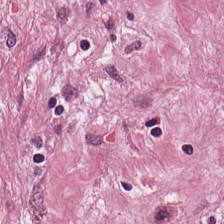H&E stain; FFPE; 224×224 px patch. The tissue here is desmoplastic stroma.
